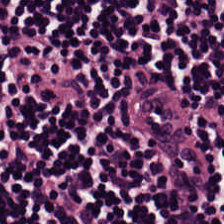H&E stain — The tissue here is lymphocytes.
